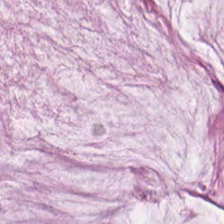H&E stain. 20× equivalent magnification — The tissue is mucin.
